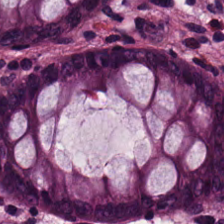The predominant tissue is non-neoplastic colon mucosa.
